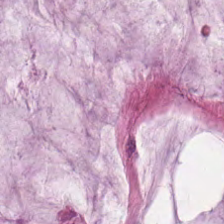H&E.
Showing mucin.
